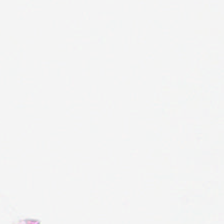Formalin-fixed paraffin-embedded section. Whole-slide-image patch. Hematoxylin-and-eosin stained section. Background — no tissue in this field.
